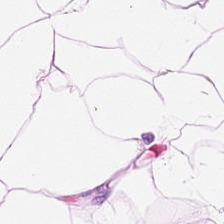H&E stain.
Q: Identify the tissue.
A: It is adipose tissue.
